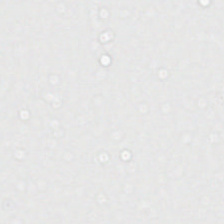Hematoxylin and eosin — Histology → empty background.
